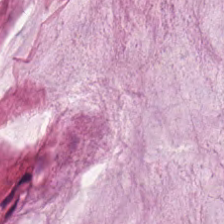H&E-stained tissue section.
The tissue here is mucin.
